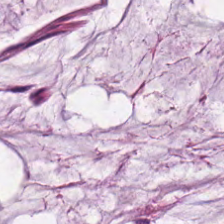0.5 µm per pixel; H&E-stained tissue section; 224×224 px patch.
Q: What is the predominant tissue type?
A: It is mucin.
